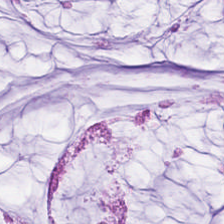H&E. Showing extracellular mucin.
